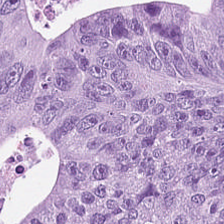Hematoxylin-and-eosin stained section. 224×224 px tile. WSI patch — Showing tumor epithelium.
